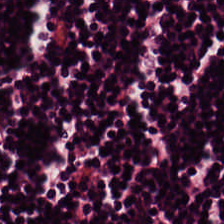20× equivalent magnification. H&E — The tissue class is lymphoid infiltrate.
